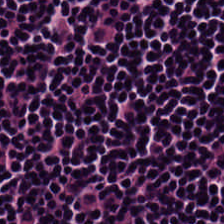H&E-stained tissue section. Q: What type of tissue is this?
A: It is lymphocytes.
